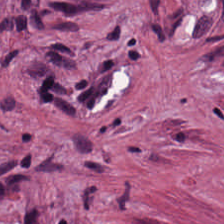Hematoxylin-and-eosin stained section.
Predominantly tumor stroma.
